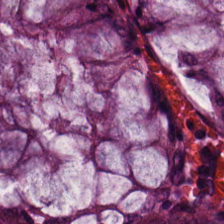Stain: H&E stain.
Classification: benign colonic mucosa.
